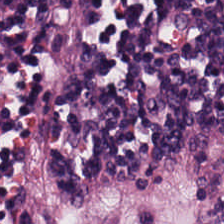H&E.
Classification: lymphoid infiltrate.
